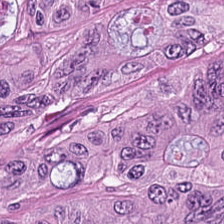This field is colorectal adenocarcinoma.
